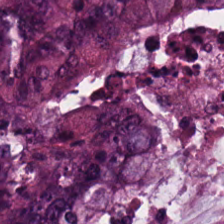H&E — Showing tumor epithelium.
